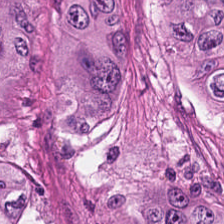The tissue class is tumor epithelium.
